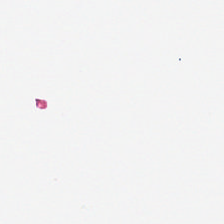Hematoxylin-and-eosin stained section.
Finding → background.
